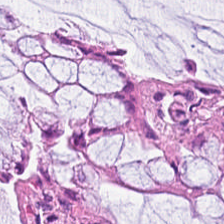Showing benign colonic mucosa.
